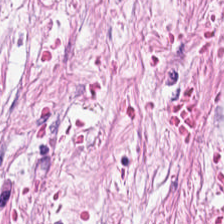Stain: H&E-stained tissue section.
Predominant tissue: tumor stroma.
